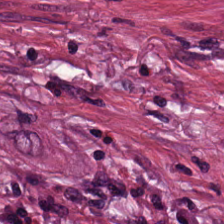H&E stain.
The predominant tissue is tumor-associated stroma.
